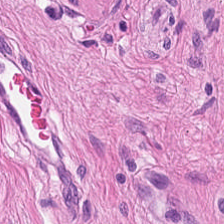H&E.
The tissue type is smooth muscle.
